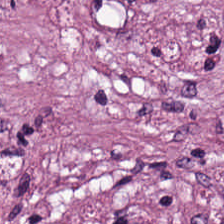H&E-stained tissue section showing cancer-associated stroma.
